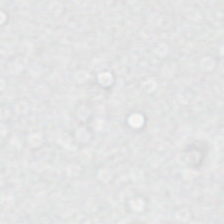Hematoxylin and eosin; 20× equivalent magnification; 224×224 px tile — Field content = background (no tissue).
